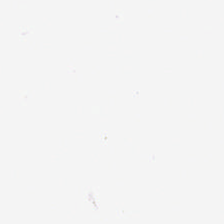Stain: hematoxylin and eosin.
Classification: empty background.
